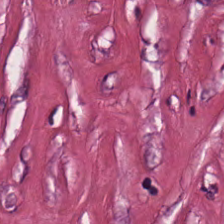Hematoxylin and eosin; FFPE tissue section.
This field is desmoplastic stroma.
